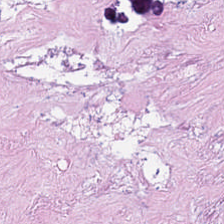Q: What is shown in this field?
A: Necrotic debris.
